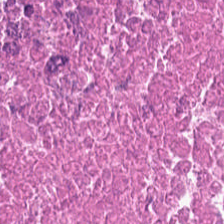H&E. Tissue class — debris.
